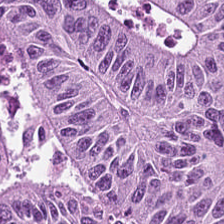Finding → malignant epithelium.
